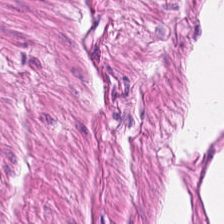{"tissue_type": "smooth-muscle tissue"}
